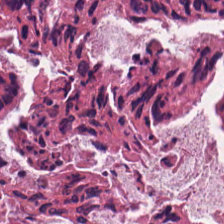0.5 µm/px. H&E stain — Histology — cellular debris.
